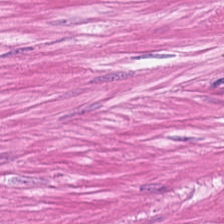H&E stain. Showing smooth muscle.
